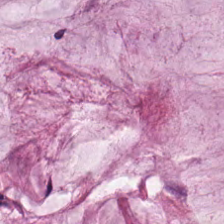H&E — The tissue here is extracellular mucin.
